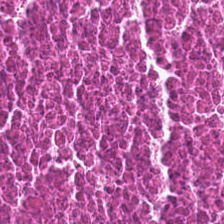224×224 pixel tile. Hematoxylin-and-eosin stained section.
Debris.
